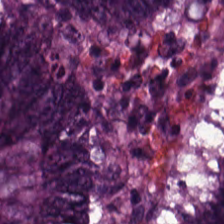H&E stain.
Adenocarcinoma.
